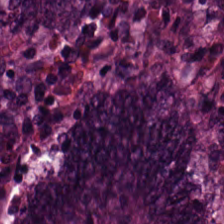Histology — colorectal adenocarcinoma.
